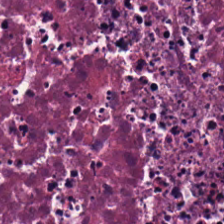0.5 µm per pixel; H&E-stained tissue section.
The predominant tissue is necrotic debris.
